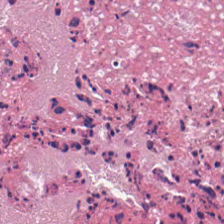Tissue type = necrotic debris.
